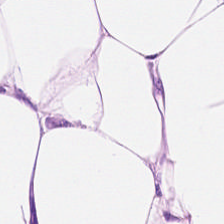FFPE. 224×224 px patch. H&E-stained tissue section — Tissue class: fat tissue.
